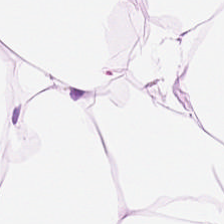H&E — This patch shows fat tissue.
